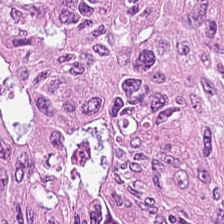Hematoxylin-and-eosin stained section; formalin-fixed paraffin-embedded section.
Classification = tumor epithelium.
